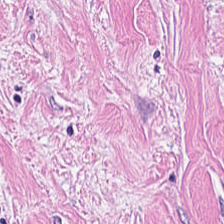H&E-stained tissue section.
This field is desmoplastic stroma.
